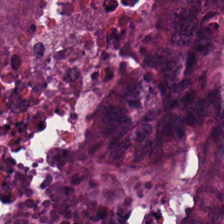H&E-stained tissue section. This patch shows colorectal adenocarcinoma.
